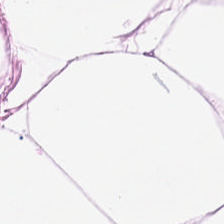H&E; brightfield microscopy; 224×224 pixel tile. The tissue is adipose tissue.
